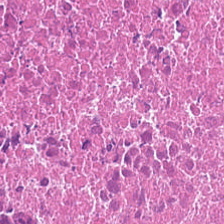224×224 pixel tile · hematoxylin and eosin. The tissue type is necrotic debris.
